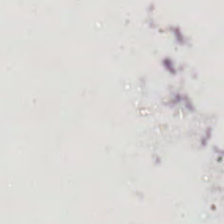Hematoxylin-and-eosin stained section — Histology → background.
